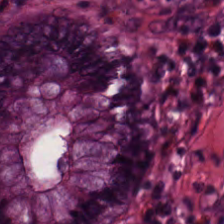Hematoxylin and eosin · WSI patch. Q: What tissue is shown?
A: This is normal colonic mucosa.
